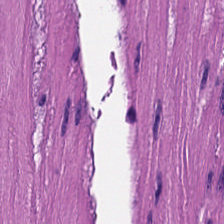Predominantly smooth muscle.
